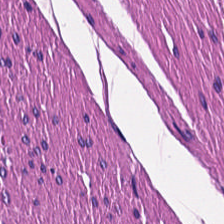H&E-stained tissue section. Tissue type = smooth-muscle tissue.
